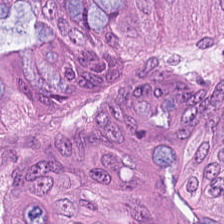Formalin-fixed paraffin-embedded section. 0.5 µm/px. Hematoxylin and eosin. Tissue type: colorectal adenocarcinoma.
